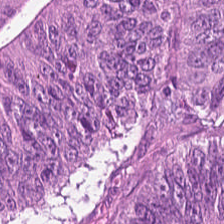Hematoxylin-and-eosin stained section; whole-slide-image patch; FFPE tissue section. Q: What type of tissue is this?
A: The field shows adenocarcinoma.
